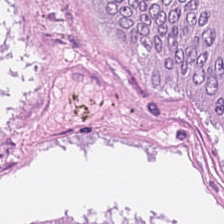Stain: H&E stain.
Tissue: colorectal adenocarcinoma epithelium.
